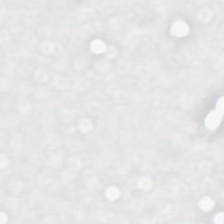Background — no tissue in this field.
